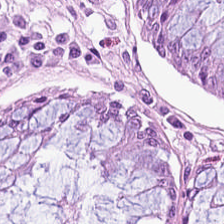H&E-stained tissue section.
This patch shows normal colon mucosa.
